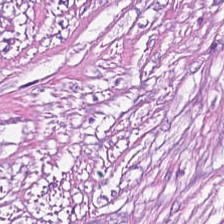H&E-stained tissue section — Tissue — tumor-associated stroma.
